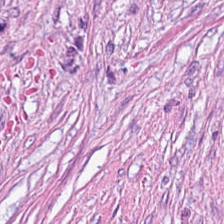Brightfield · H&E-stained tissue section. Predominantly tumor stroma.
